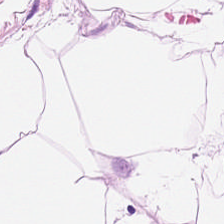20× equivalent magnification. Brightfield microscopy. H&E — {"tissue_type": "fat tissue"}
